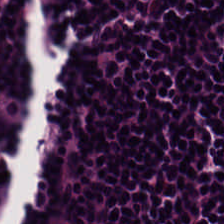H&E-stained tissue section — Showing lymphocytes.
